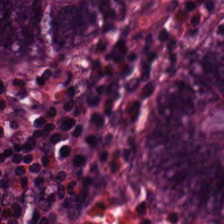Q: What tissue type is shown here?
A: This is normal colonic mucosa.
